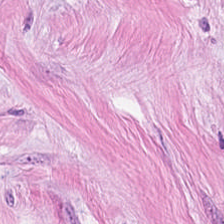H&E-stained tissue section · formalin-fixed paraffin-embedded section · 224×224 pixel tile. Showing cancer-associated stroma.
